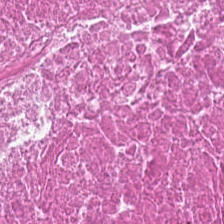H&E-stained tissue section — Q: What type of tissue is this?
A: This is cellular debris.
